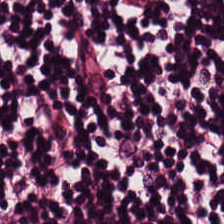Formalin-fixed paraffin-embedded section. H&E-stained tissue section — The predominant tissue is lymphoid infiltrate.
